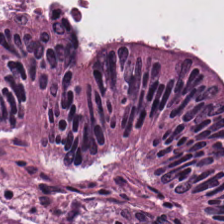224×224 px tile. Formalin-fixed paraffin-embedded section. H&E — Tissue type — colorectal adenocarcinoma.
